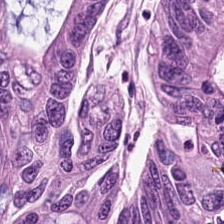Hematoxylin and eosin. Whole-slide-image patch. FFPE tissue section. {"tissue_type": "tumor epithelium"}
